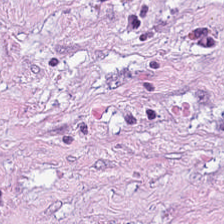H&E patch showing tumor stroma.
